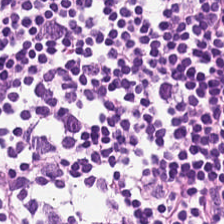H&E stain. Tissue class: lymphoid infiltrate.
